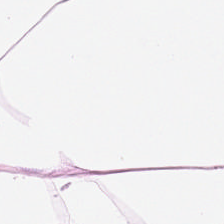H&E stain. Whole-slide-image patch — Showing adipose tissue.
